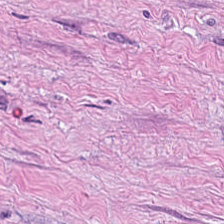Stain: H&E.
Acquisition: brightfield microscopy.
Tissue type: cancer-associated stroma.
